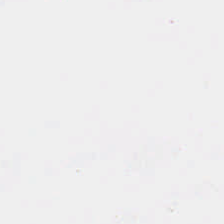H&E stain — Background — no tissue in this field.
